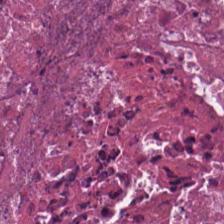Hematoxylin-and-eosin stained section. This patch shows necrotic debris.
